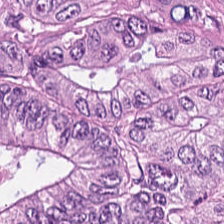Stain: H&E.
Predominant tissue: malignant epithelium.
